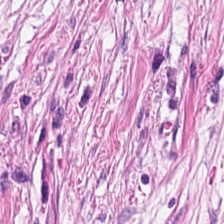Hematoxylin-and-eosin stained section. Cancer-associated stroma.
